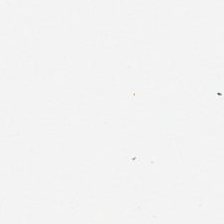H&E stain — Q: What does this patch show?
A: This is background (no tissue).
